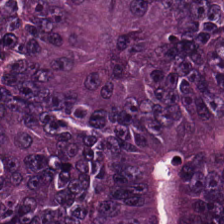H&E patch showing colorectal adenocarcinoma.
